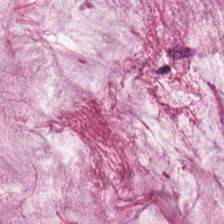Stain: hematoxylin-and-eosin stained section.
Tissue class: mucus.
